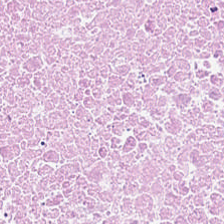The predominant tissue is necrotic debris.
